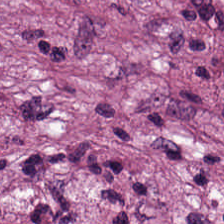The tissue here is tumor-associated stroma.
